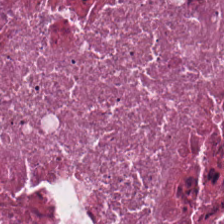Whole-slide-image patch · formalin-fixed paraffin-embedded section · H&E stain — Finding — cellular debris.
